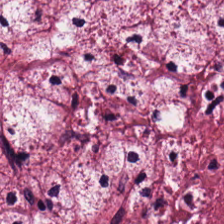Tumor-associated stroma.
